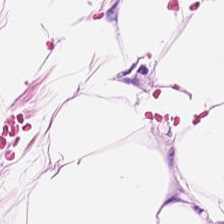Showing adipose.
